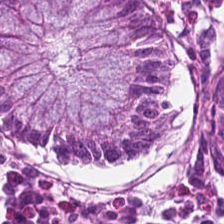H&E. Normal colonic mucosa.
